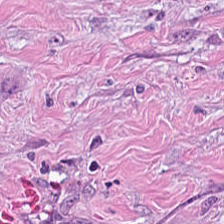H&E-stained tissue section. {"tissue_type": "tumor stroma"}
